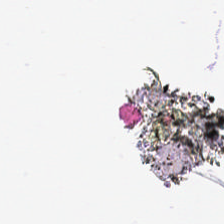FFPE · H&E stain — Background — no tissue in this field.
